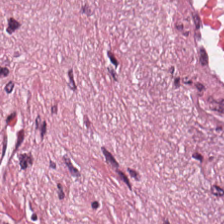H&E stain.
Tissue type: desmoplastic stroma.
